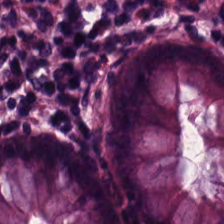Stain: H&E.
Tile size: 224×224 px tile.
Preparation: FFPE.
Tissue: non-neoplastic colon mucosa.
